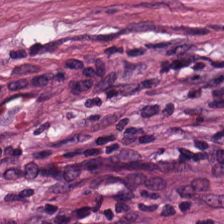Hematoxylin and eosin.
Classification — tumor stroma.
